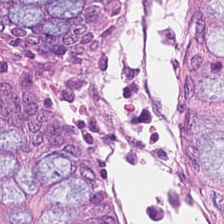Brightfield microscopy; H&E-stained tissue section.
This patch shows non-neoplastic colon mucosa.
